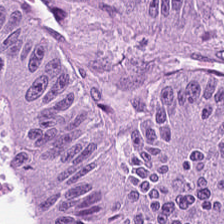Hematoxylin-and-eosin stained section.
Predominantly adenocarcinoma.
